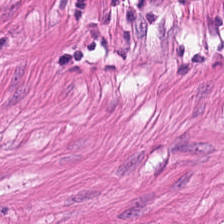{"tissue_type": "smooth-muscle tissue"}
